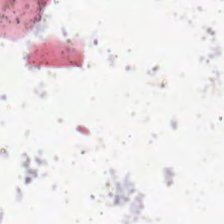Hematoxylin and eosin · 224×224 pixel tile.
Q: What is shown in this field?
A: This is no tissue.
